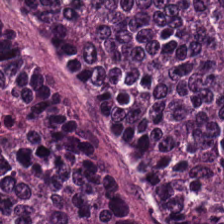Hematoxylin and eosin; brightfield microscopy; 0.5 µm/px — {"tissue_type": "colorectal adenocarcinoma epithelium"}
